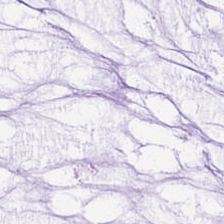H&E · 20× equivalent magnification. {"tissue_type": "mucin"}
